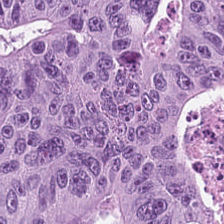H&E. {"tissue_type": "colorectal adenocarcinoma epithelium"}
